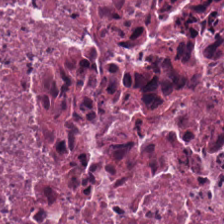Hematoxylin-and-eosin stained section. 0.5 µm/px — Impression → necrotic debris.
